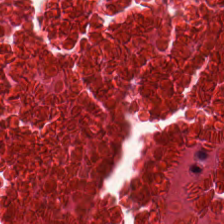Formalin-fixed paraffin-embedded section. H&E-stained tissue section. The predominant tissue is debris.
